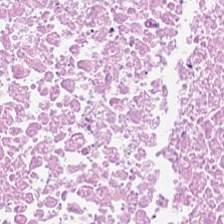20× equivalent magnification; H&E stain — The tissue class is necrotic debris.
